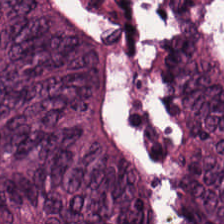H&E stain; brightfield; FFPE tissue section — Tissue type — colorectal adenocarcinoma.
